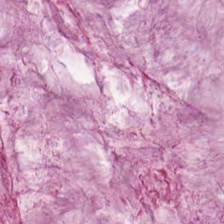Hematoxylin-and-eosin stained section. Tissue type — mucin.
